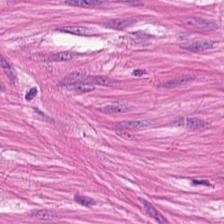Hematoxylin-and-eosin stained section. Q: Classify this patch.
A: Smooth-muscle tissue.
